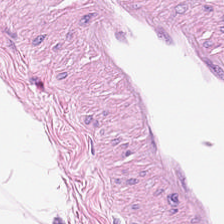Hematoxylin-and-eosin stained section. This field is adipose.
